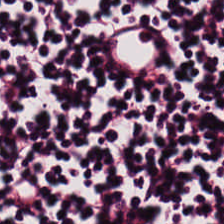H&E. Tissue class — lymphocytes.
